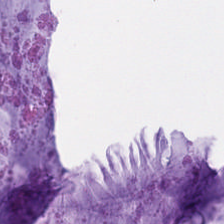H&E — mucin.
